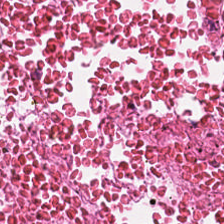H&E-stained tissue section; 20× equivalent magnification.
{"tissue_type": "debris"}
